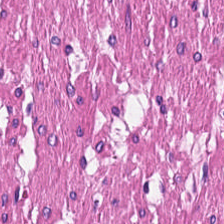H&E-stained tissue section. This field is smooth muscle.
